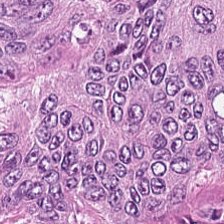Stain: H&E stain.
Resolution: 20× equivalent magnification.
Tissue class: tumor epithelium.
